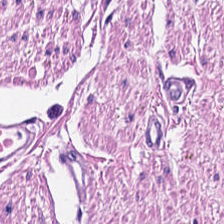Formalin-fixed paraffin-embedded section; 224×224 px tile; H&E-stained tissue section.
This patch shows smooth muscle.
